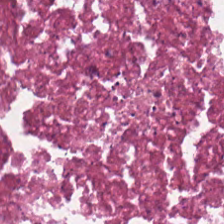Tissue — debris.
